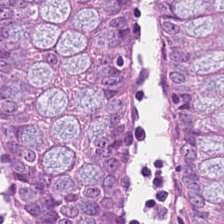Classification — benign colonic mucosa.
